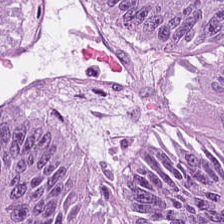H&E stain. Q: What is shown in this field?
A: The field shows colorectal adenocarcinoma epithelium.
